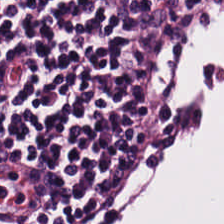Formalin-fixed paraffin-embedded section. H&E — Showing lymphocytic infiltrate.
